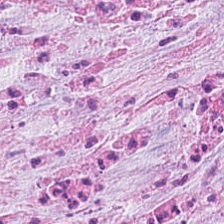Tumor stroma.
